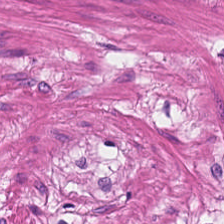FFPE; hematoxylin and eosin. {"tissue_type": "muscularis"}
